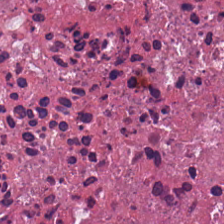H&E; 224×224 pixel tile — Tissue type — cellular debris.
